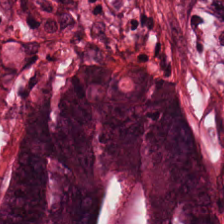H&E-stained tissue section. 0.5 microns per pixel — Predominantly colorectal adenocarcinoma.
